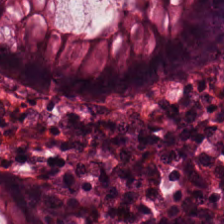20× equivalent magnification · H&E-stained tissue section · FFPE tissue section.
This field is benign colonic mucosa.
